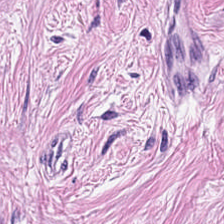H&E-stained tissue section showing desmoplastic stroma.
